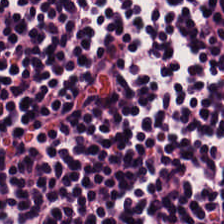H&E — {"tissue_type": "lymphocyte aggregate"}
